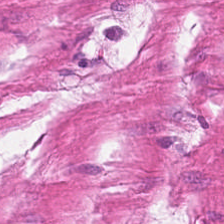Stain: hematoxylin-and-eosin stained section.
Tissue class: smooth muscle.
